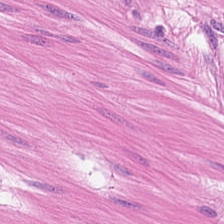The predominant tissue is muscularis.
